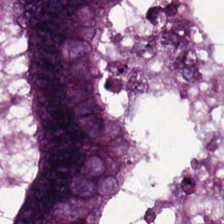Stain: H&E.
Tissue type: malignant epithelium.
